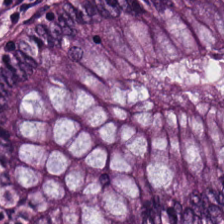Stain: H&E-stained tissue section.
Classification: benign colonic mucosa.
